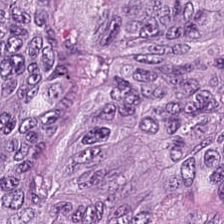Stain: H&E stain.
Predominant tissue: colorectal adenocarcinoma epithelium.
